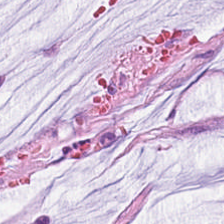Stain: hematoxylin-and-eosin stained section.
Tissue: mucus.
